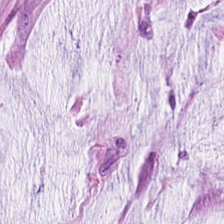224×224 px patch; H&E stain; FFPE. Q: What tissue type is shown here?
A: Mucin.
